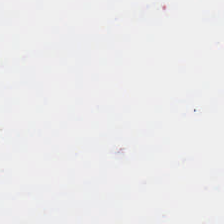Hematoxylin-and-eosin stained section; FFPE.
Field content = no tissue.
